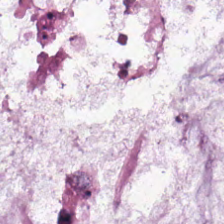Predominant tissue: extracellular mucin.
